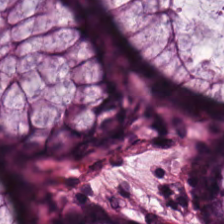Stain: hematoxylin-and-eosin stained section.
Classification: normal colonic mucosa.
